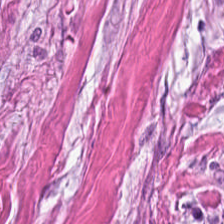224×224 px patch; hematoxylin-and-eosin stained section; 0.5 µm per pixel.
Classification — desmoplastic stroma.
